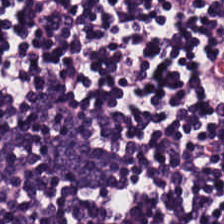H&E. The tissue here is lymphocytes.
